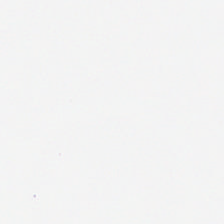H&E stain. {"content": "empty background"}
